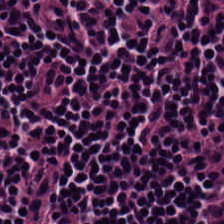Hematoxylin-and-eosin stained section. Brightfield — The predominant tissue is lymphocyte aggregate.
